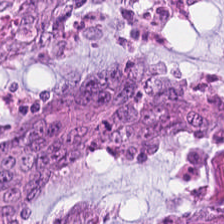224×224 pixel tile; hematoxylin-and-eosin stained section.
Showing malignant epithelium.
